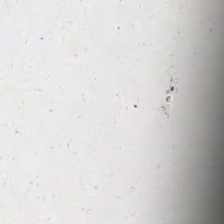224×224 px tile. H&E — Empty field — empty background.
